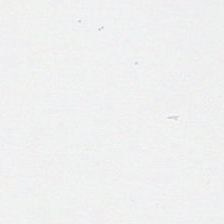Hematoxylin and eosin. 0.5 µm per pixel. Whole-slide-image patch.
{"content": "no tissue"}
